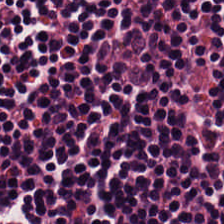Tissue type = lymphocyte aggregate.
